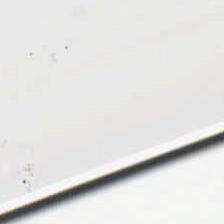Q: What does this patch show?
A: The field shows background.
